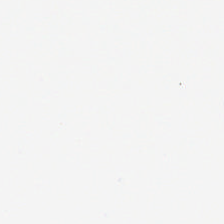0.5 µm per pixel; H&E stain. Q: What is shown here?
A: It is no tissue.
